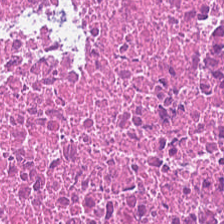Stain: H&E stain.
Resolution: 0.5 µm/px.
Predominant tissue: cellular debris.
